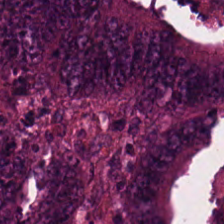Stain: H&E.
Predominant tissue: colorectal adenocarcinoma.
